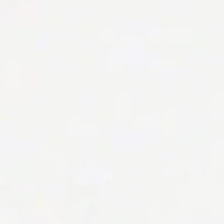H&E. This field is background (no tissue).
